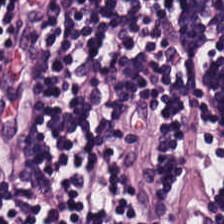Hematoxylin-and-eosin stained section. Lymphocytic infiltrate.
